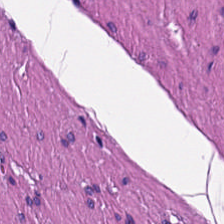Hematoxylin and eosin; WSI patch. Smooth muscle.
